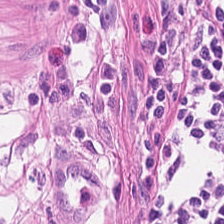Stain: hematoxylin-and-eosin stained section.
Resolution: 0.5 µm per pixel.
Tissue class: smooth muscle.
